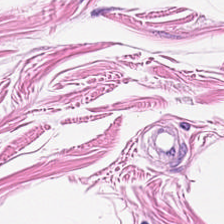H&E stain.
Tissue class — smooth muscle.
